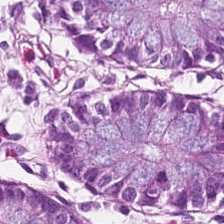H&E-stained tissue section — The tissue here is non-neoplastic colon mucosa.
